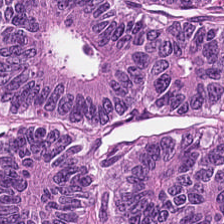224×224 pixel tile. FFPE. Hematoxylin-and-eosin stained section.
Tissue type = malignant epithelium.
